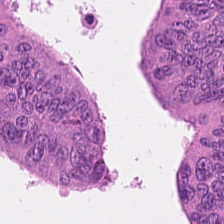H&E stain. Q: What is the predominant tissue type?
A: This is colorectal adenocarcinoma epithelium.
